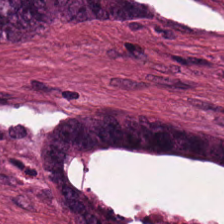Stain: H&E stain.
Tissue: adenocarcinoma.
